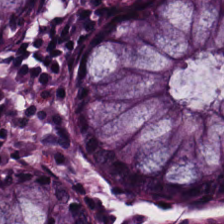H&E.
Classification — normal colon mucosa.
